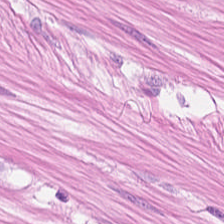20× equivalent magnification; H&E stain.
Predominantly smooth muscle.
